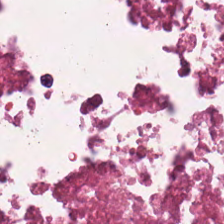H&E-stained tissue section · 224×224 px patch — The predominant tissue is necrotic debris.
